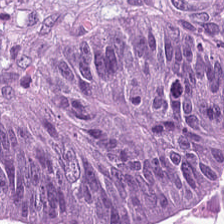{"tissue_type": "malignant epithelium"}
